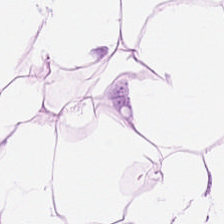Q: What is shown in this field?
A: This is fat tissue.
